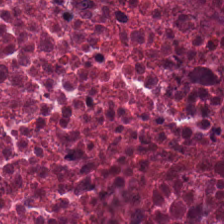0.5 µm per pixel. H&E stain. Whole-slide-image patch.
This patch shows necrotic debris.
